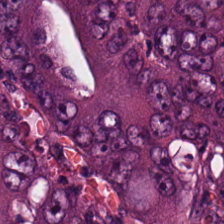H&E. Q: Identify the tissue.
A: Colorectal adenocarcinoma.
